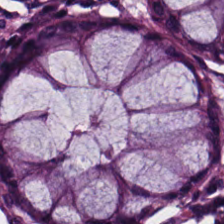H&E-stained tissue section showing normal colon mucosa.
